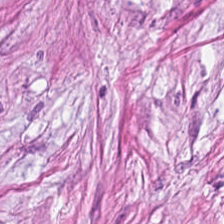Hematoxylin and eosin.
Q: What tissue type is shown here?
A: Tumor-associated stroma.
